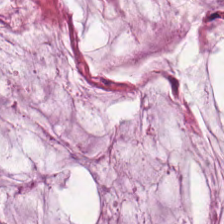Stain: H&E.
Tissue type: extracellular mucin.
